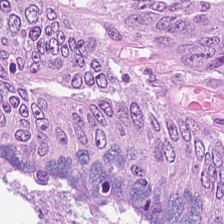Hematoxylin and eosin. Tissue class: colorectal adenocarcinoma epithelium.
